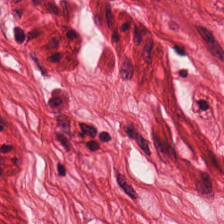Hematoxylin-and-eosin stained section. This field is muscularis.
